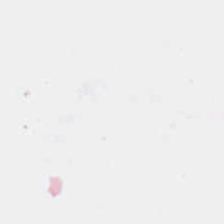H&E stain. Formalin-fixed paraffin-embedded section. No tissue present; background only.
